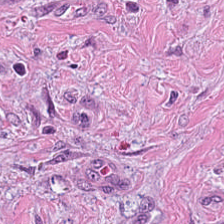H&E-stained tissue section — Predominantly desmoplastic stroma.
